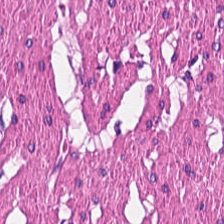0.5 microns per pixel; H&E stain. Finding → smooth muscle.
